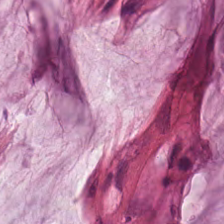Hematoxylin-and-eosin stained section — Tissue — extracellular mucin.
